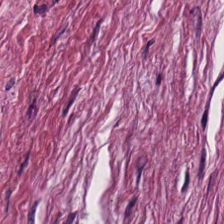H&E-stained tissue section. Formalin-fixed paraffin-embedded section. The tissue here is tumor stroma.
